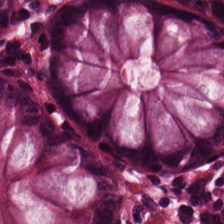Hematoxylin and eosin. The predominant tissue is benign colonic mucosa.
